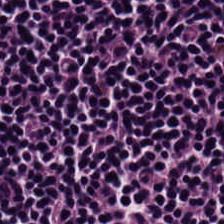FFPE tissue section. H&E stain. 0.5 microns per pixel. The tissue class is lymphocyte aggregate.
